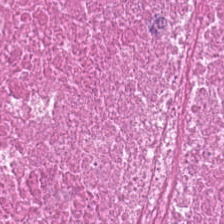Hematoxylin and eosin · 224×224 px tile. The classification is necrotic debris.
